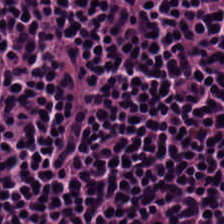The tissue here is lymphoid infiltrate.
